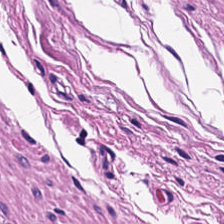H&E stain.
Tissue type — smooth-muscle tissue.
